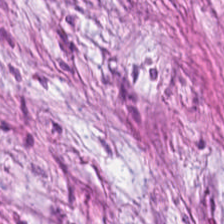Hematoxylin and eosin. The predominant tissue is tumor-associated stroma.
